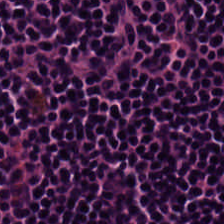Histology → lymphoid infiltrate.
